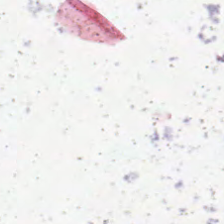Whole-slide-image patch; H&E. Q: Classify this patch.
A: The field shows no tissue.
